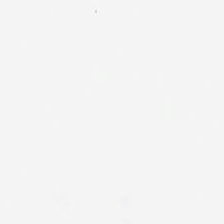Content = background.
